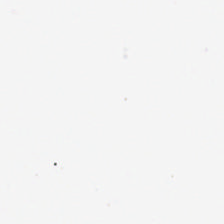Hematoxylin and eosin · 224×224 px patch — Content — empty background.
